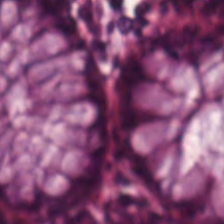H&E-stained tissue section. This patch shows non-neoplastic colon mucosa.
